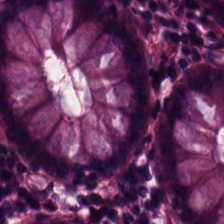H&E-stained tissue section; 0.5 µm per pixel.
Impression — normal colon mucosa.
